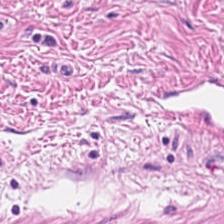H&E — {"tissue_type": "muscularis"}
